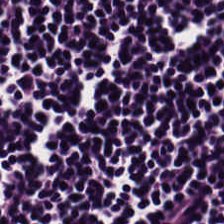Hematoxylin and eosin.
This field is lymphoid infiltrate.
